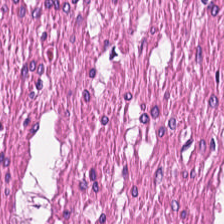H&E · formalin-fixed paraffin-embedded section. This field is muscularis.
